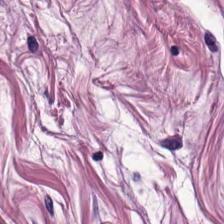Q: What does this patch show?
A: Smooth-muscle tissue.
